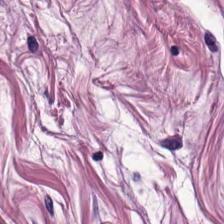Q: What does this patch show?
A: Smooth-muscle tissue.
